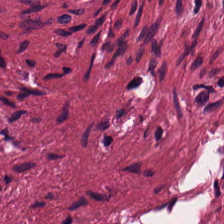Hematoxylin-and-eosin stained section. Desmoplastic stroma.
